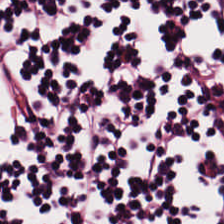Q: Classify this patch.
A: The field shows lymphocytic infiltrate.
